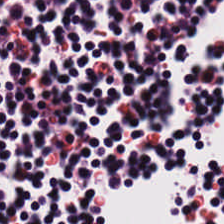Stain: hematoxylin-and-eosin stained section.
Tile size: 224×224 px patch.
Classification: lymphocytes.
